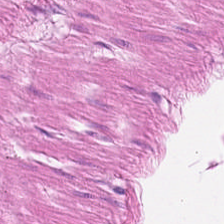Q: What tissue is shown?
A: This is smooth-muscle tissue.
